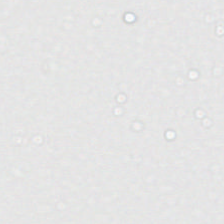H&E stain · brightfield microscopy · 224×224 px tile. {"content": "background"}
